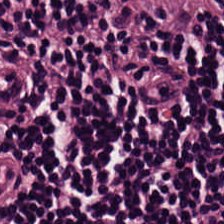Hematoxylin-and-eosin stained section. Tissue class — lymphocytes.
